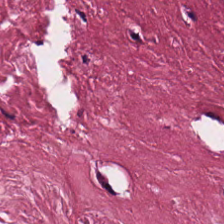H&E-stained tissue section · FFPE · brightfield. Q: What tissue type is shown here?
A: Desmoplastic stroma.
